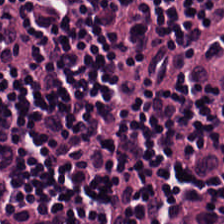Stain: hematoxylin and eosin.
Predominant tissue: lymphoid infiltrate.
